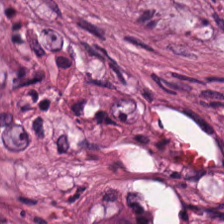224×224 pixel tile; 0.5 µm per pixel; H&E-stained tissue section — Q: What is shown in this field?
A: It is necrotic debris.
